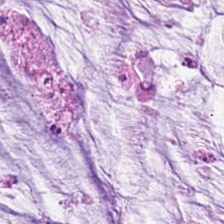Stain: H&E-stained tissue section.
Predominant tissue: mucin.
